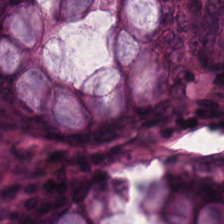H&E-stained tissue section — Non-neoplastic colon mucosa.
